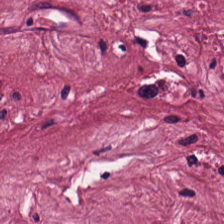H&E-stained tissue section.
Q: What is shown in this field?
A: The field shows tumor stroma.
